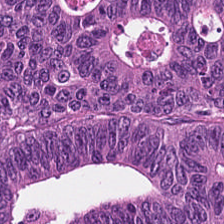H&E stain. 224×224 px patch. This patch shows adenocarcinoma.
